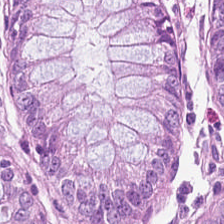Finding → normal colon mucosa.
